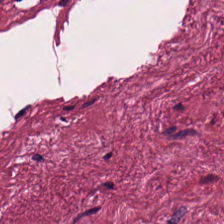Q: What is shown in this field?
A: The field shows desmoplastic stroma.
